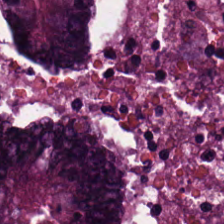Hematoxylin-and-eosin stained section.
The classification is tumor epithelium.
